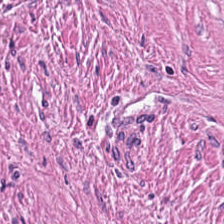Hematoxylin and eosin · 0.5 µm per pixel.
Tissue type = desmoplastic stroma.
